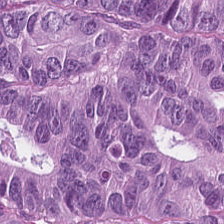Hematoxylin-and-eosin stained section. Brightfield. 20× equivalent magnification. Finding — adenocarcinoma.
